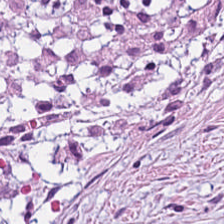Histology — cancer-associated stroma.
